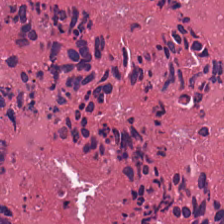Classification = necrotic debris.
